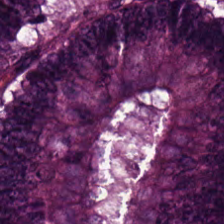FFPE tissue section; 224×224 pixel tile; hematoxylin and eosin — Predominantly tumor epithelium.
